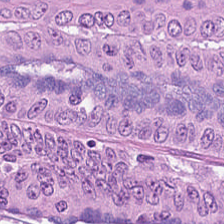H&E — This field is malignant epithelium.
